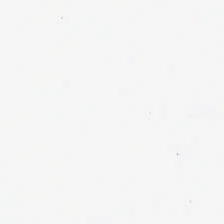Hematoxylin-and-eosin stained section. This field is background (no tissue).
